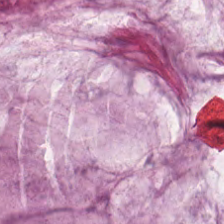Hematoxylin and eosin.
The predominant tissue is extracellular mucin.
